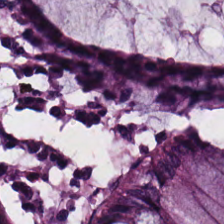H&E; 20× equivalent magnification.
The tissue here is non-neoplastic colon mucosa.
